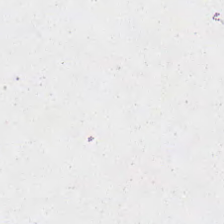H&E. Classification: empty background.
